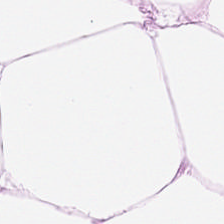Hematoxylin and eosin — Predominantly adipose.
